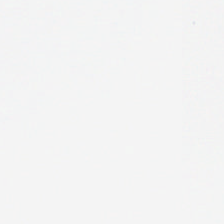H&E stain.
No tissue present; background only.
